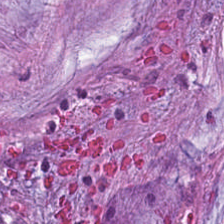H&E-stained tissue section.
Predominant tissue: extracellular mucin.
